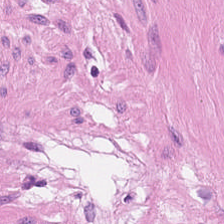H&E stain.
The tissue here is muscularis.
